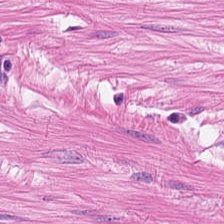H&E · FFPE — Tissue — smooth-muscle tissue.
